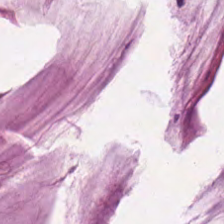H&E — Impression — mucin.
